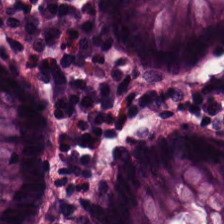H&E-stained tissue section; WSI patch. Q: What does this patch show?
A: Normal colonic mucosa.
